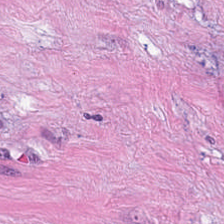FFPE tissue section; 224×224 px tile; H&E. Desmoplastic stroma.
